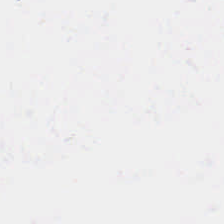The content is background.
